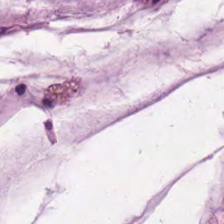Hematoxylin-and-eosin stained section — Tissue class = extracellular mucin.
